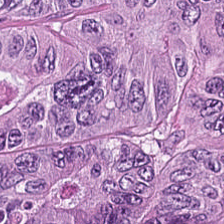H&E stain. 20× equivalent magnification — {"tissue_type": "colorectal adenocarcinoma"}
